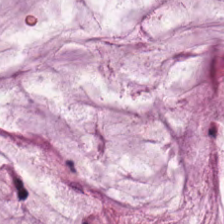Hematoxylin-and-eosin stained section. Tissue type = mucin.
